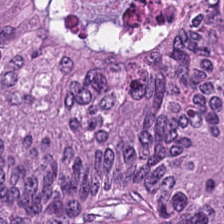Stain: hematoxylin-and-eosin stained section.
Resolution: 0.5 µm per pixel.
Tissue: colorectal adenocarcinoma.
